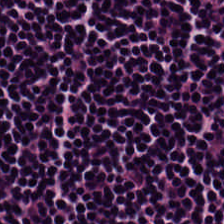Stain: H&E.
Acquisition: brightfield microscopy.
Classification: lymphocytic infiltrate.
